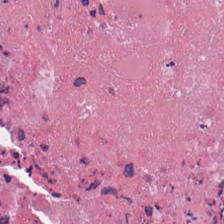H&E. Showing cellular debris.
